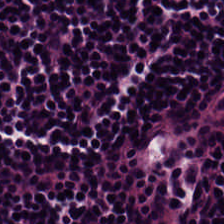H&E-stained tissue section showing lymphocyte aggregate.
